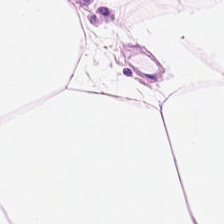H&E. Tissue class — adipose tissue.
